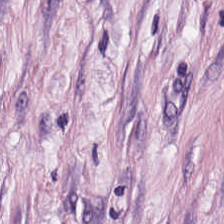Tissue type — tumor stroma.
